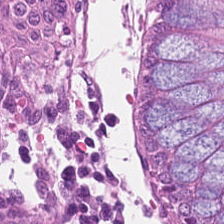H&E.
This field is normal colon mucosa.
